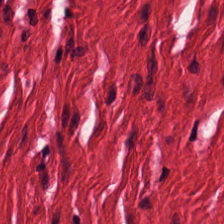Hematoxylin-and-eosin stained section · FFPE tissue section.
Predominant tissue — smooth muscle.
